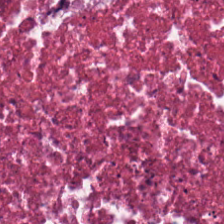Stain: H&E.
Tissue type: debris.
